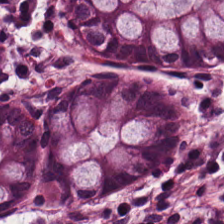H&E-stained tissue section. 0.5 µm per pixel — {"tissue_type": "normal colon mucosa"}
